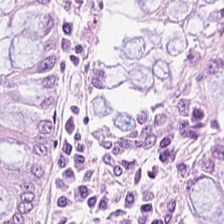Hematoxylin-and-eosin stained section.
Finding — benign colonic mucosa.
